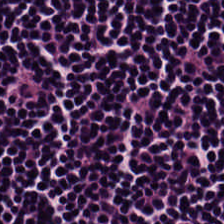Stain: H&E.
Acquisition: whole-slide-image patch.
Tile size: 224×224 px patch.
Predominant tissue: lymphoid infiltrate.
